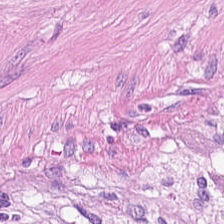Q: What does this patch show?
A: This is smooth muscle.
